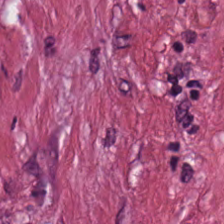Hematoxylin-and-eosin section: cancer-associated stroma.
